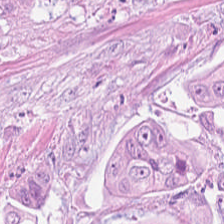Hematoxylin and eosin. The predominant tissue is tumor epithelium.
